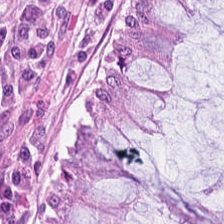Q: What type of tissue is this?
A: It is benign colonic mucosa.
